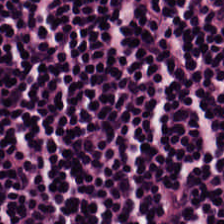H&E patch showing lymphocytes.
